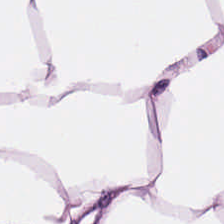Stain: H&E stain.
Classification: fat tissue.
